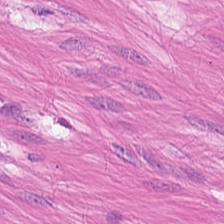Hematoxylin-and-eosin stained section; 0.5 µm/px; 224×224 px patch. The predominant tissue is smooth muscle.
